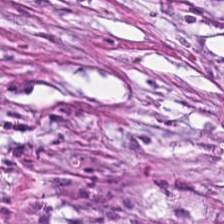Stain: H&E stain.
Tile size: 224×224 px tile.
Preparation: FFPE tissue section.
Predominant tissue: desmoplastic stroma.
